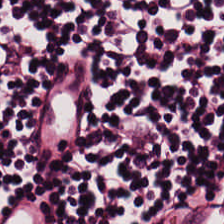H&E. Q: What does this patch show?
A: This is lymphocyte aggregate.
